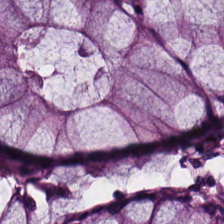Whole-slide-image patch; formalin-fixed paraffin-embedded section; H&E-stained tissue section — Predominantly non-neoplastic colon mucosa.
